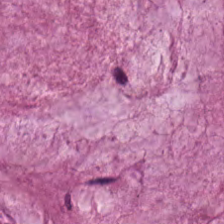Classification — extracellular mucin.
